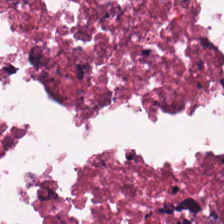H&E patch showing cellular debris.
